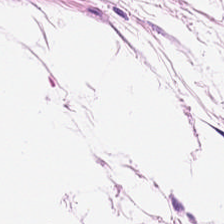0.5 µm per pixel. H&E stain.
Tissue: adipocytes.
